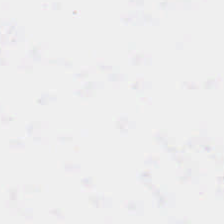The content is background (no tissue).
